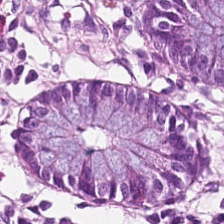FFPE tissue section; H&E-stained tissue section; 0.5 microns per pixel. This patch shows benign colonic mucosa.
